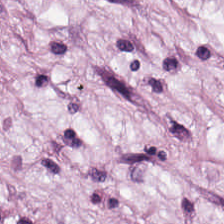Hematoxylin and eosin. 224×224 px tile — The predominant tissue is adipocytes.
